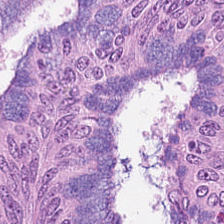Whole-slide-image patch · H&E-stained tissue section — The predominant tissue is tumor epithelium.
